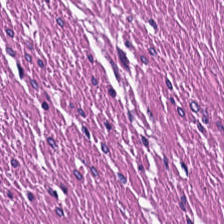H&E-stained tissue section. Finding — muscularis.
